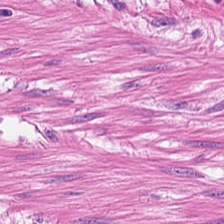{"tissue_type": "smooth muscle"}
